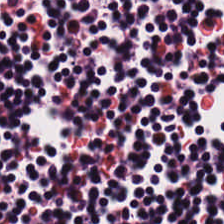Showing lymphoid infiltrate.
